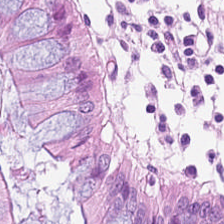Hematoxylin-and-eosin stained section.
Showing benign colonic mucosa.
